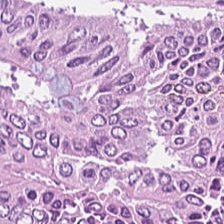H&E — malignant epithelium.
